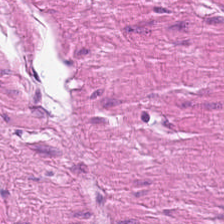224×224 px tile. Hematoxylin and eosin. 0.5 µm/px — Showing muscularis.
